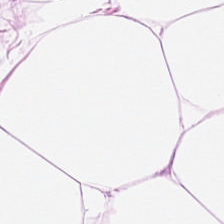Hematoxylin-and-eosin stained section — Tissue type — adipose.
